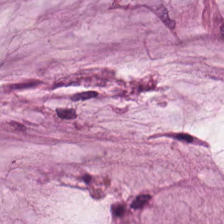Brightfield; hematoxylin-and-eosin stained section — Q: What tissue is shown?
A: This is mucus.
